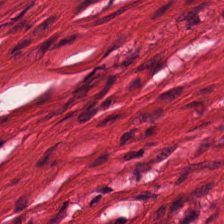WSI patch; H&E stain; 0.5 µm/px.
This patch shows muscularis.
